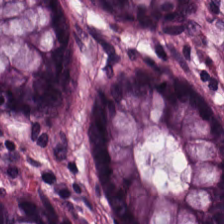Hematoxylin-and-eosin stained section. Formalin-fixed paraffin-embedded section. 224×224 px tile. Classification = benign colonic mucosa.
